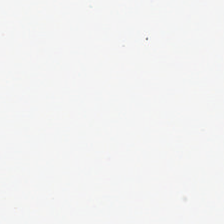Hematoxylin and eosin — Q: What is shown in this field?
A: No tissue.
